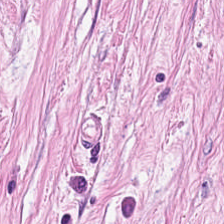The predominant tissue is cancer-associated stroma.
